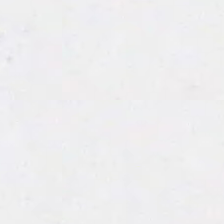H&E-stained tissue section.
Q: Classify this patch.
A: The field shows background.
